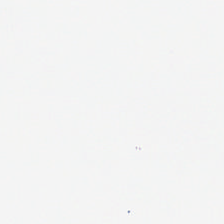H&E — No tissue present; background only.
